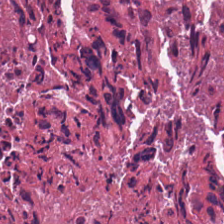0.5 µm/px; H&E-stained tissue section; brightfield. Histology — debris.
